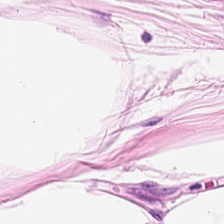H&E stain — The predominant tissue is fat tissue.
